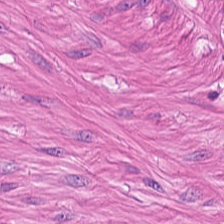H&E-stained tissue section — Tissue type = smooth muscle.
